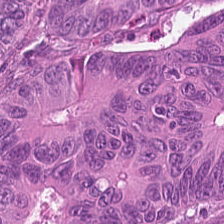Hematoxylin and eosin; 224×224 px patch; 0.5 microns per pixel. Showing colorectal adenocarcinoma epithelium.
